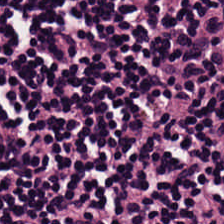H&E. {"tissue_type": "lymphocyte aggregate"}
